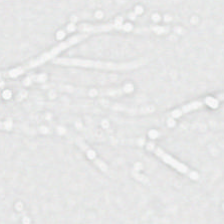WSI patch; 224×224 px patch; H&E. This patch shows background.
